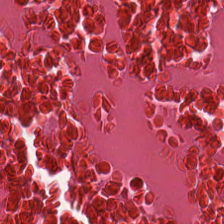H&E-stained tissue section.
The predominant tissue is necrotic debris.
